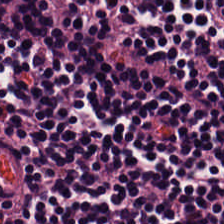0.5 microns per pixel. Hematoxylin-and-eosin stained section — Impression → lymphocytic infiltrate.
